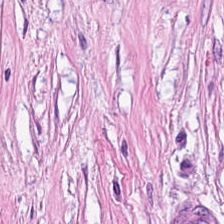Tissue type = cancer-associated stroma.
